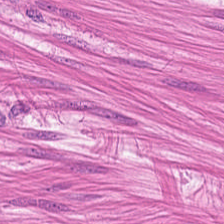Tissue type = smooth muscle.
